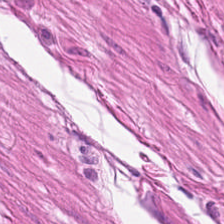H&E-stained tissue section showing smooth muscle.
